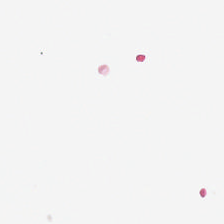H&E stain. WSI patch. 224×224 px tile — Empty field — no tissue.
